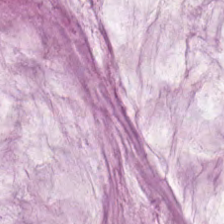Hematoxylin-and-eosin stained section.
The predominant tissue is mucus.
